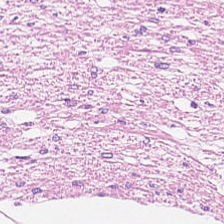H&E · 224×224 px tile.
Q: What is shown here?
A: Smooth muscle.
